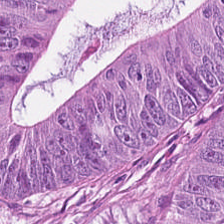Classification — malignant epithelium.
